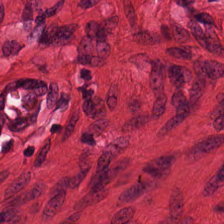Stain: hematoxylin-and-eosin stained section.
Resolution: 0.5 µm per pixel.
Acquisition: whole-slide-image patch.
Tissue: smooth muscle.
